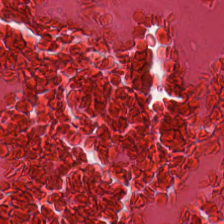FFPE; H&E; WSI patch. The predominant tissue is debris.
